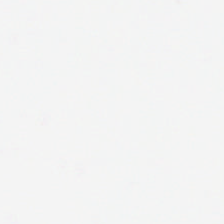H&E-stained tissue section — This patch shows background (no tissue).
